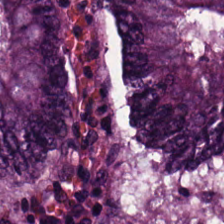Impression → adenocarcinoma.
